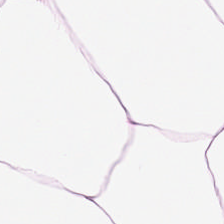H&E stain.
Finding → adipose tissue.
